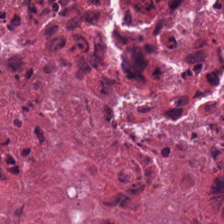H&E stain. Q: What does this patch show?
A: This is necrotic debris.
